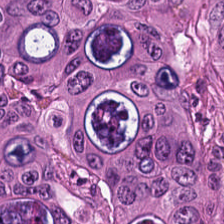Stain: hematoxylin-and-eosin stained section.
Preparation: FFPE.
Tissue class: tumor epithelium.
